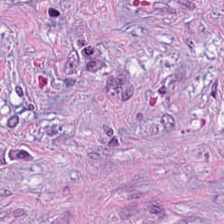H&E-stained tissue section · 0.5 µm per pixel · FFPE. This patch shows tumor stroma.
